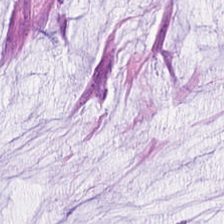H&E — Showing extracellular mucin.
